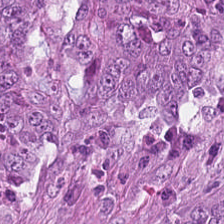Hematoxylin and eosin · FFPE tissue section · whole-slide-image patch. Q: What type of tissue is this?
A: It is tumor epithelium.
